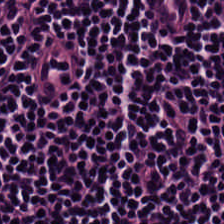H&E — Showing lymphocytes.
